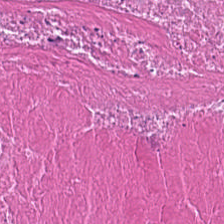H&E.
Finding — cellular debris.
